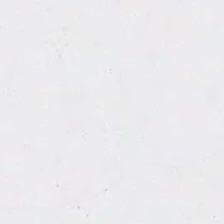H&E stain.
Histology → background.
